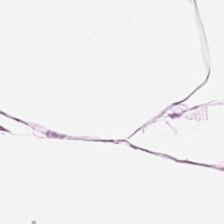Tissue type = adipose.
